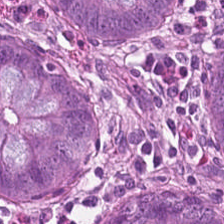Q: What is shown here?
A: It is normal colonic mucosa.
